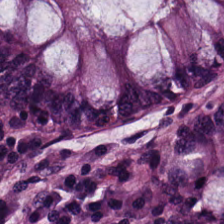H&E stain — Q: What type of tissue is this?
A: This is benign colonic mucosa.
